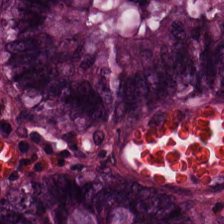H&E. {"tissue_type": "benign colonic mucosa"}
